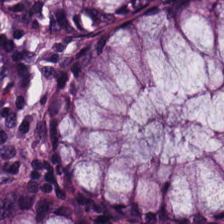Impression → normal colon mucosa.
